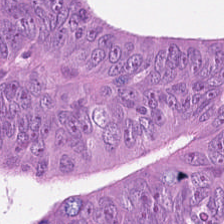Stain: H&E-stained tissue section.
Predominant tissue: tumor epithelium.
